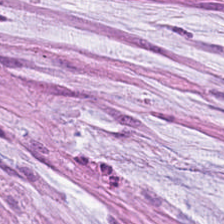H&E stain.
Tissue = mucus.
